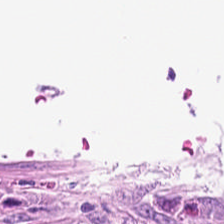Background — no tissue in this field.
